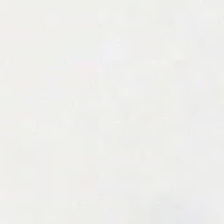FFPE tissue section · hematoxylin-and-eosin stained section. Classification: background.
